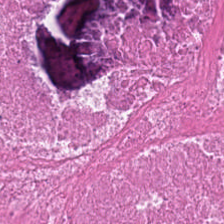H&E — necrotic debris.
